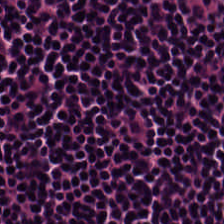Classification — lymphocyte aggregate.
